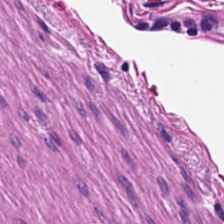H&E-stained tissue section. FFPE — Classification: smooth muscle.
